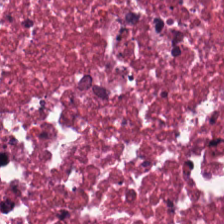Hematoxylin-and-eosin stained section. Tissue: cellular debris.
